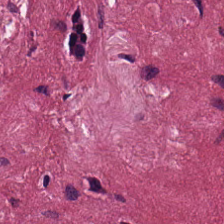Hematoxylin-and-eosin section: desmoplastic stroma.
